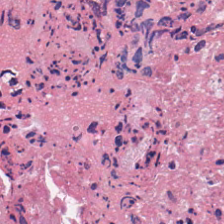Brightfield microscopy; H&E stain.
Tissue = necrotic debris.
